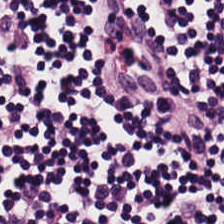Formalin-fixed paraffin-embedded section · H&E-stained tissue section.
Tissue class = lymphocytic infiltrate.
